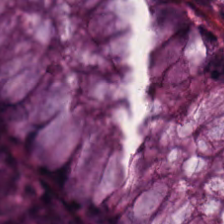Hematoxylin-and-eosin stained section. Formalin-fixed paraffin-embedded section. The tissue here is normal colon mucosa.
